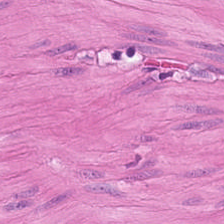H&E-stained tissue section. Tissue class = smooth-muscle tissue.
